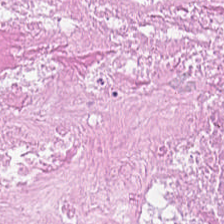Hematoxylin-and-eosin stained section. The classification is debris.
